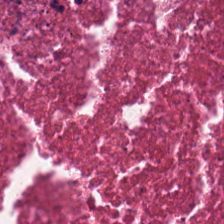Hematoxylin-and-eosin stained section. Tissue type — necrotic debris.
